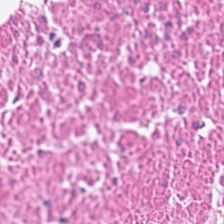H&E-stained tissue section — Tissue = smooth muscle.
